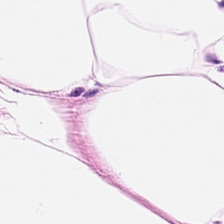Stain: H&E.
Tissue class: adipose tissue.
